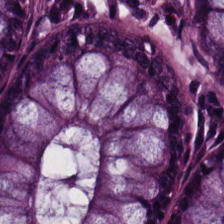H&E-stained tissue section. Q: Classify this patch.
A: The field shows normal colon mucosa.
